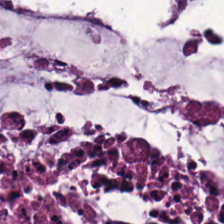H&E.
This field is extracellular mucin.
